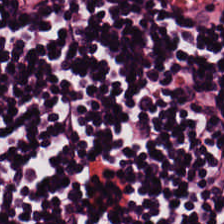0.5 microns per pixel; hematoxylin and eosin. Showing lymphocytic infiltrate.
